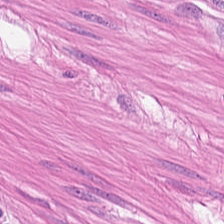H&E stain. Tissue class — smooth muscle.
